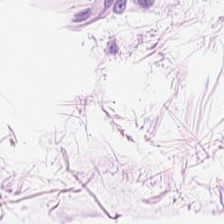H&E-stained tissue section. The predominant tissue is fat tissue.
